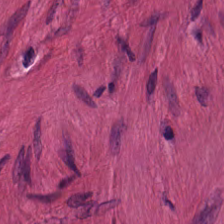H&E stain. FFPE tissue section. Brightfield microscopy. This patch shows muscularis.
